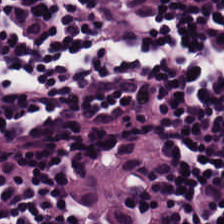Stain: hematoxylin and eosin.
Tissue class: lymphoid infiltrate.
